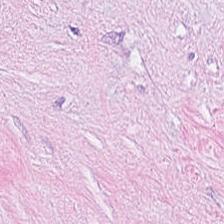H&E-stained tissue section.
Q: Identify the tissue.
A: The field shows cancer-associated stroma.
